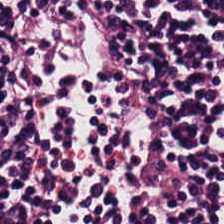H&E stain; 224×224 px patch. The tissue here is lymphocytes.
